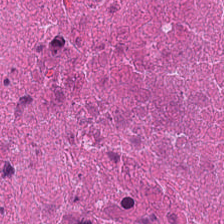Debris.
